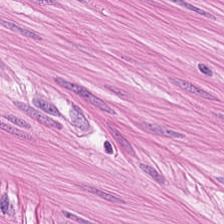H&E. {"tissue_type": "smooth muscle"}
